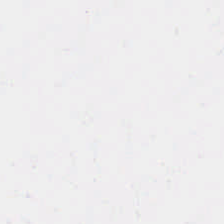Hematoxylin and eosin.
Background — no tissue in this field.
